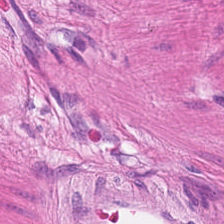Stain: hematoxylin-and-eosin stained section.
Tissue class: smooth muscle.
